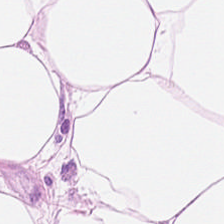FFPE tissue section · hematoxylin and eosin — This patch shows fat tissue.
